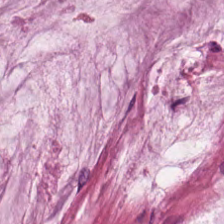Impression — mucus.
